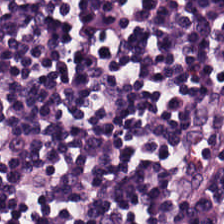Finding → lymphocyte aggregate.
